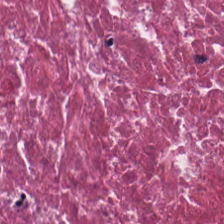0.5 µm per pixel; H&E.
This patch shows debris.
